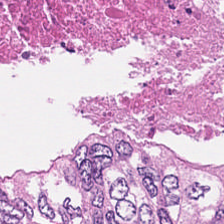H&E-stained tissue section. The tissue here is debris.
